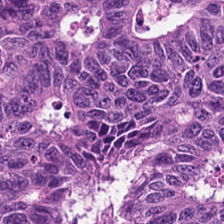H&E — Q: What tissue type is shown here?
A: The field shows tumor epithelium.
